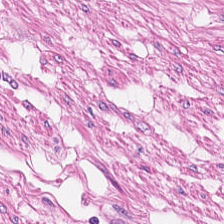Q: What type of tissue is this?
A: Smooth muscle.
